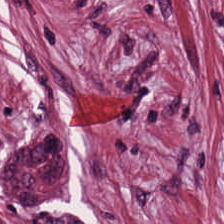Hematoxylin and eosin. FFPE tissue section. This patch shows desmoplastic stroma.
